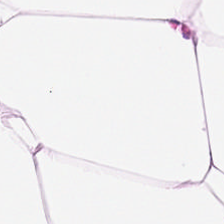Hematoxylin and eosin — Q: What tissue is shown?
A: Fat tissue.
